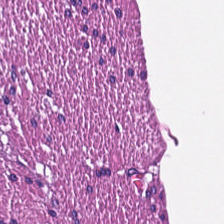H&E-stained tissue section · 0.5 µm per pixel.
Smooth-muscle tissue.
